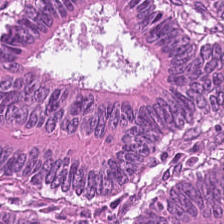H&E. The tissue class is colorectal adenocarcinoma epithelium.
